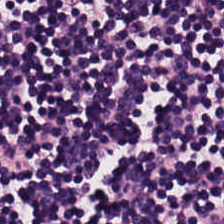224×224 pixel tile · hematoxylin and eosin. Q: What is the predominant tissue type?
A: Lymphocyte aggregate.
